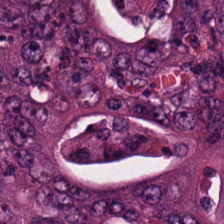Colorectal adenocarcinoma.
